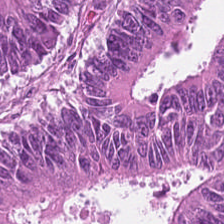Hematoxylin-and-eosin stained section.
Impression — colorectal adenocarcinoma epithelium.
